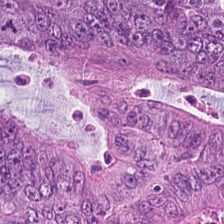H&E.
This field is colorectal adenocarcinoma.
